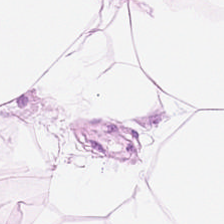Q: What tissue is shown?
A: It is adipocytes.
